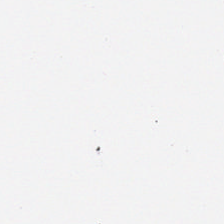H&E — Empty field — background.
